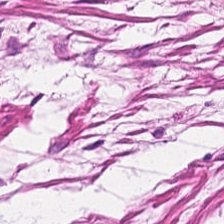The tissue class is smooth-muscle tissue.
